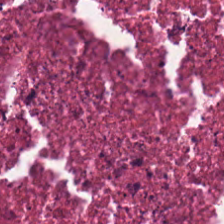Brightfield; hematoxylin-and-eosin stained section. Necrotic debris.
